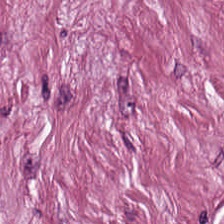Hematoxylin and eosin. 224×224 px tile. 0.5 µm per pixel.
This patch shows cancer-associated stroma.
